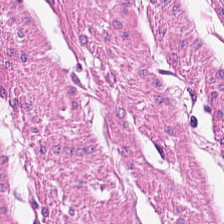Q: What is shown in this field?
A: It is smooth-muscle tissue.
